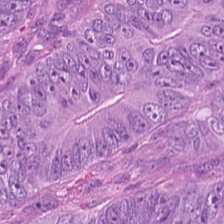Hematoxylin-and-eosin stained section · 20× equivalent magnification · 224×224 pixel tile. Tissue: malignant epithelium.
